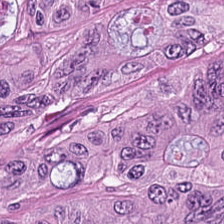Stain: hematoxylin and eosin.
Acquisition: whole-slide-image patch.
Tissue class: tumor epithelium.
